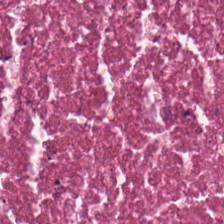H&E-stained tissue section. FFPE. WSI patch. Predominant tissue — necrotic debris.
